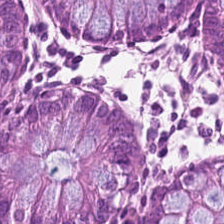Hematoxylin and eosin — Q: What is shown here?
A: The field shows normal colon mucosa.
